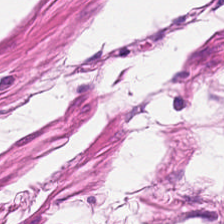Stain: hematoxylin-and-eosin stained section.
Resolution: 0.5 microns per pixel.
Acquisition: WSI patch.
Tissue: smooth muscle.
